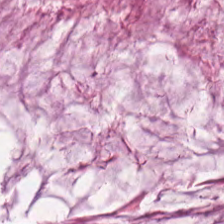The tissue type is extracellular mucin.
